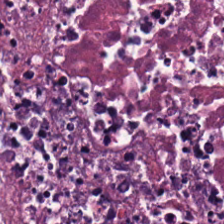Hematoxylin-and-eosin stained section; formalin-fixed paraffin-embedded section.
Predominant tissue: necrotic debris.
